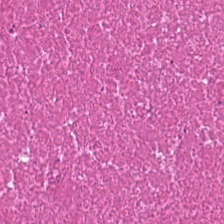Showing cellular debris.
